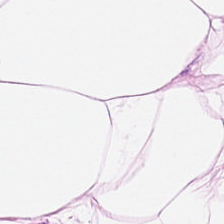This field is adipose.
